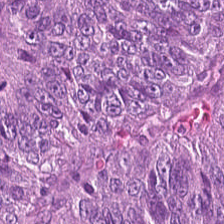H&E. FFPE tissue section. Classification: colorectal adenocarcinoma epithelium.
